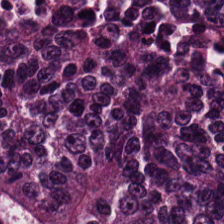Hematoxylin and eosin.
Predominant tissue = tumor epithelium.
